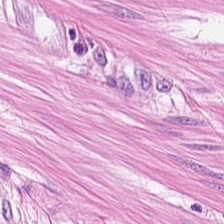Hematoxylin and eosin · 0.5 microns per pixel. Impression → muscularis.
